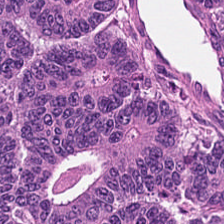Hematoxylin and eosin. Predominant tissue: malignant epithelium.
